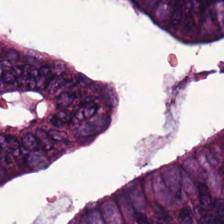H&E; brightfield microscopy.
Q: What tissue is shown?
A: The field shows tumor epithelium.
